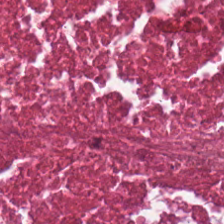H&E stain; FFPE; 20× equivalent magnification. {"tissue_type": "cellular debris"}
